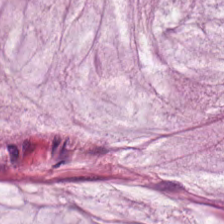Stain: H&E.
Tissue: mucus.
